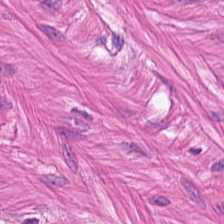H&E-stained tissue section. The tissue type is muscularis.
